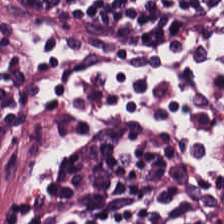Stain: hematoxylin-and-eosin stained section.
Tile size: 224×224 px patch.
Acquisition: whole-slide-image patch.
Predominant tissue: lymphocytes.
